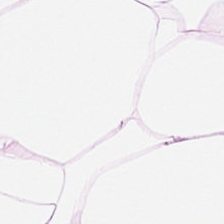Hematoxylin and eosin. Tissue class: adipose tissue.
